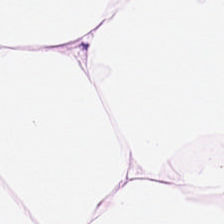H&E stain.
Predominant tissue — adipose.
